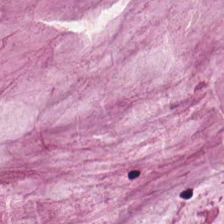Hematoxylin and eosin — The tissue here is mucus.
